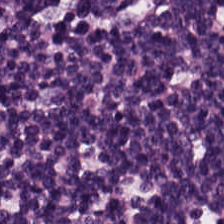Q: Identify the tissue.
A: This is lymphocyte aggregate.
